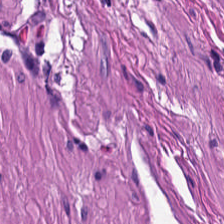Classification — smooth-muscle tissue.
